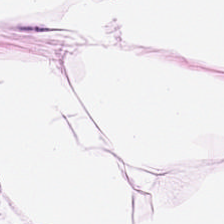Tissue — fat tissue.
